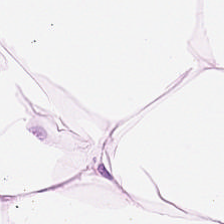Brightfield · 0.5 microns per pixel · hematoxylin and eosin. Adipose tissue.
